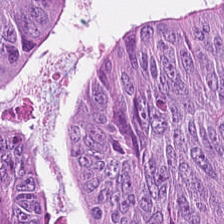H&E.
Predominantly colorectal adenocarcinoma epithelium.
